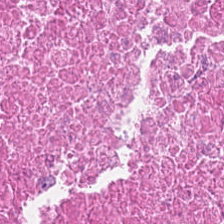H&E-stained tissue section · FFPE tissue section. Tissue type = debris.
